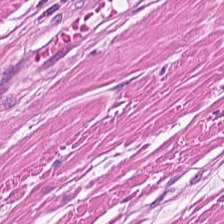Brightfield; H&E. This patch shows smooth muscle.
